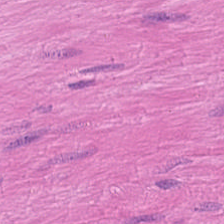H&E-stained tissue section; FFPE tissue section; 224×224 px tile.
Tissue type: smooth-muscle tissue.
